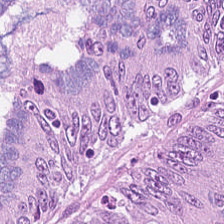H&E stain. Predominant tissue = colorectal adenocarcinoma epithelium.
